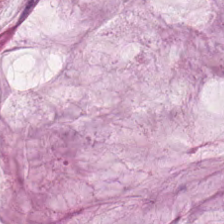H&E. 224×224 px tile — Q: What tissue is shown?
A: The field shows extracellular mucin.
